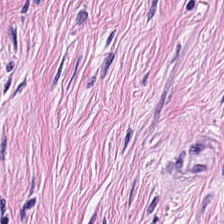Brightfield microscopy; FFPE tissue section; hematoxylin and eosin. Tissue — tumor stroma.
